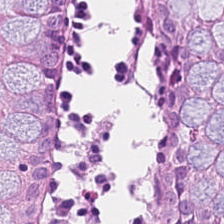Stain: H&E-stained tissue section.
Resolution: 0.5 microns per pixel.
Predominant tissue: non-neoplastic colon mucosa.
